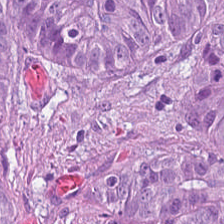Q: What type of tissue is this?
A: The field shows colorectal adenocarcinoma.
